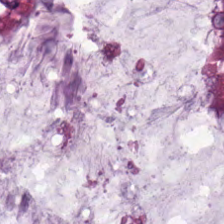H&E-stained tissue section; 20× equivalent magnification; 224×224 px tile. This patch shows mucin.
